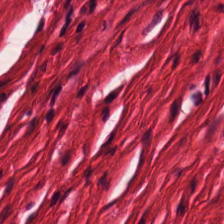Hematoxylin-and-eosin stained section · 224×224 pixel tile — Tissue type: smooth-muscle tissue.
